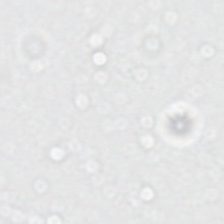Stain: hematoxylin-and-eosin stained section.
Tile size: 224×224 px tile.
Content: empty background.
